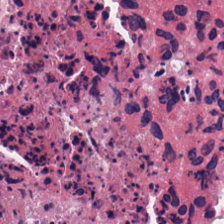Stain: hematoxylin-and-eosin stained section.
Acquisition: whole-slide-image patch.
Classification: necrotic debris.
